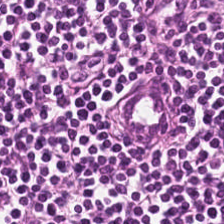H&E-stained tissue section — Finding → lymphocyte aggregate.
